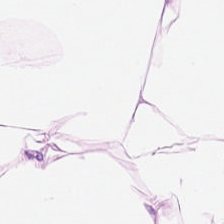Stain: H&E.
Tissue type: adipocytes.
